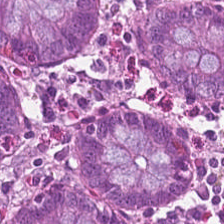Tissue class — non-neoplastic colon mucosa.
